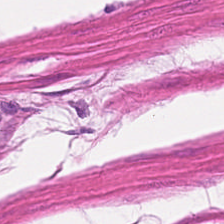{"tissue_type": "smooth muscle"}
